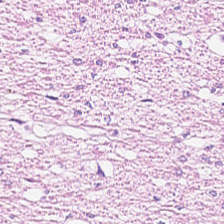Q: What does this patch show?
A: It is smooth muscle.
